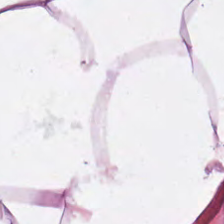H&E stain — Adipose tissue.
